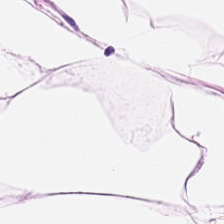Hematoxylin-and-eosin stained section · 224×224 px tile. Showing fat tissue.
